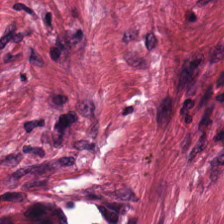Tumor stroma.
